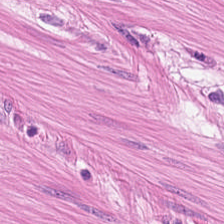WSI patch. H&E. Predominantly muscularis.
